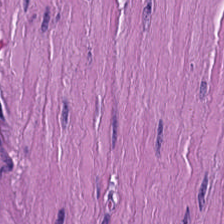Hematoxylin and eosin — {"tissue_type": "smooth-muscle tissue"}
